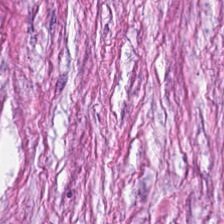Brightfield microscopy; hematoxylin-and-eosin stained section — The predominant tissue is cancer-associated stroma.
